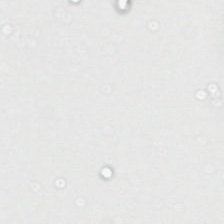Stain: H&E-stained tissue section.
Resolution: 0.5 µm/px.
Field content: background (no tissue).
